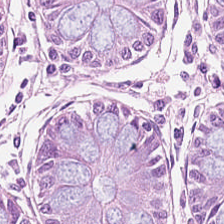H&E stain — Histology → normal colon mucosa.
